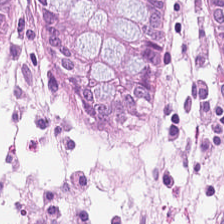Stain: hematoxylin and eosin.
Tile size: 224×224 px patch.
Tissue type: normal colonic mucosa.
